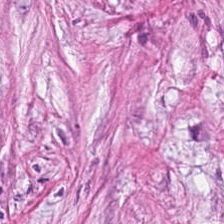Hematoxylin and eosin; FFPE tissue section; WSI patch. The tissue here is tumor-associated stroma.
